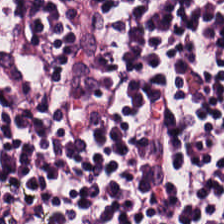Hematoxylin-and-eosin stained section — The tissue is lymphocyte aggregate.
